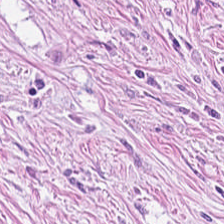Brightfield. 224×224 px tile. Hematoxylin-and-eosin stained section.
The predominant tissue is tumor-associated stroma.
